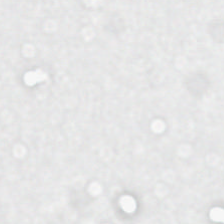FFPE · H&E · brightfield microscopy — This patch shows no tissue.
